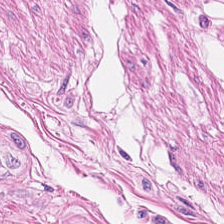H&E.
{"tissue_type": "muscularis"}
